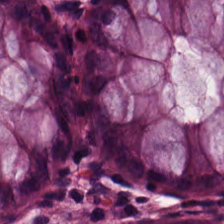FFPE tissue section · hematoxylin and eosin.
Impression — normal colonic mucosa.
